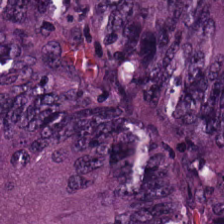0.5 µm/px · H&E-stained tissue section.
Classification = tumor epithelium.
